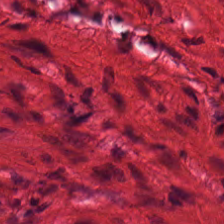Q: Classify this patch.
A: This is smooth muscle.
